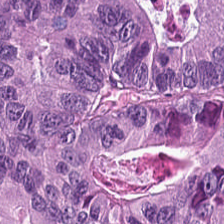H&E · formalin-fixed paraffin-embedded section. Predominantly tumor epithelium.
